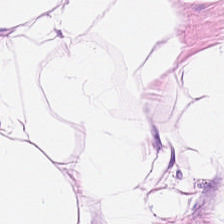Impression → fat tissue.
